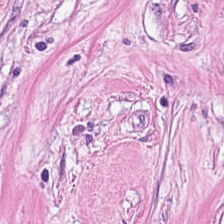FFPE. H&E-stained tissue section.
The tissue here is tumor-associated stroma.
